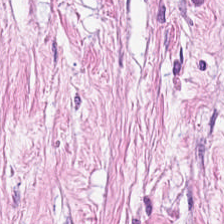H&E-stained tissue section · FFPE. Q: What is the predominant tissue type?
A: It is desmoplastic stroma.
